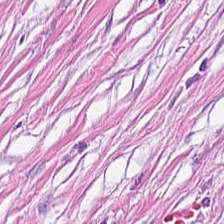Tissue = tumor stroma.
